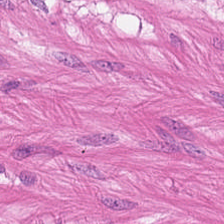H&E-stained tissue section · 0.5 µm/px — Showing smooth muscle.
